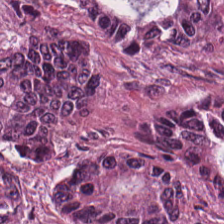H&E stain. {"tissue_type": "colorectal adenocarcinoma epithelium"}
